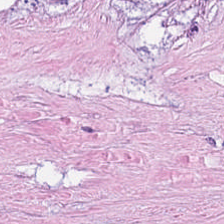Hematoxylin and eosin — Tissue type: necrotic debris.
